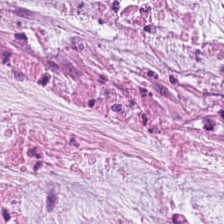H&E stain.
Q: What does this patch show?
A: The field shows extracellular mucin.
